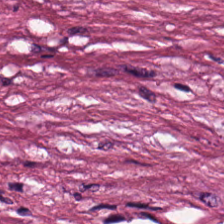H&E stain.
Classification = debris.
